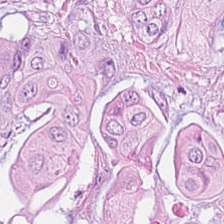Hematoxylin and eosin — Q: What does this patch show?
A: Colorectal adenocarcinoma epithelium.
